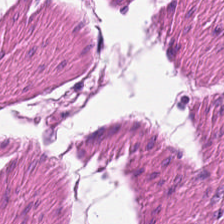0.5 microns per pixel · hematoxylin-and-eosin stained section. This patch shows smooth muscle.
